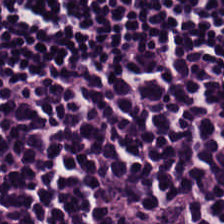Hematoxylin-and-eosin stained section; whole-slide-image patch.
Tissue type = lymphoid infiltrate.
